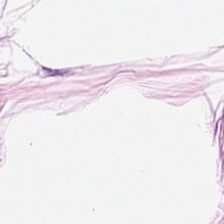H&E-stained tissue section. Showing adipose.
